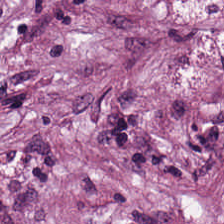Stain: hematoxylin-and-eosin stained section.
Tissue: tumor stroma.
